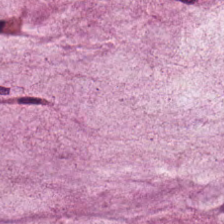H&E — extracellular mucin.
